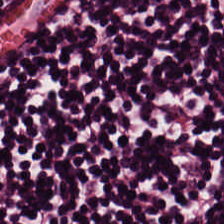H&E-stained tissue section.
Tissue = lymphoid infiltrate.
